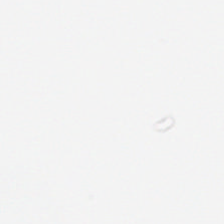H&E-stained tissue section. Content — empty background.
